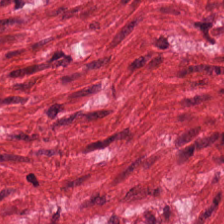H&E. 0.5 µm/px — Predominantly smooth muscle.
